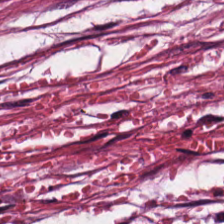H&E patch showing tumor-associated stroma.
